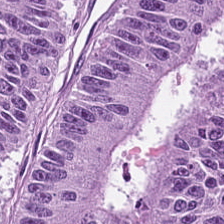Q: What is shown here?
A: It is colorectal adenocarcinoma.
